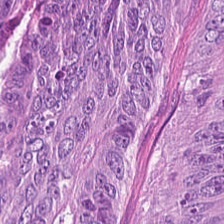Q: Identify the tissue.
A: Adenocarcinoma.
